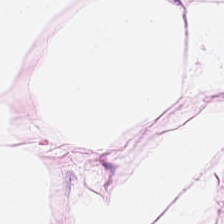Hematoxylin and eosin. Tissue type: fat tissue.
